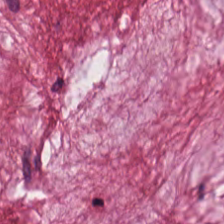Predominant tissue — mucus.
